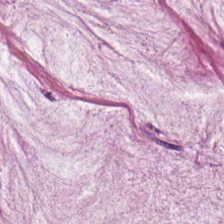H&E-stained tissue section. This patch shows extracellular mucin.
